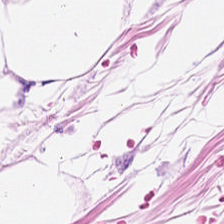H&E · 224×224 px tile.
The predominant tissue is adipose.
